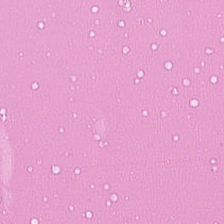H&E-stained tissue section.
Tissue: cellular debris.
